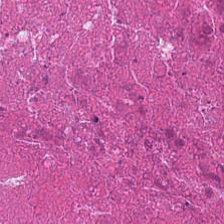Tissue type = cellular debris.
